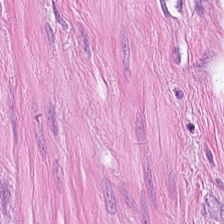Hematoxylin-and-eosin stained section. This field is smooth-muscle tissue.
